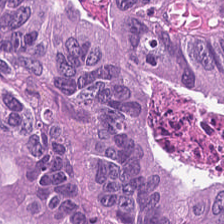Stain: H&E stain.
Resolution: 0.5 µm/px.
Tile size: 224×224 px patch.
Predominant tissue: colorectal adenocarcinoma.
